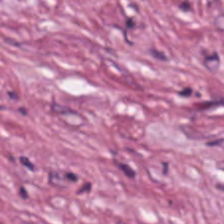H&E-stained tissue section showing cancer-associated stroma.
